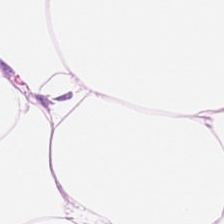FFPE; H&E — Tissue type: fat tissue.
